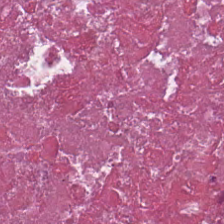H&E-stained tissue section; 224×224 px patch; 20× equivalent magnification.
The tissue here is necrotic debris.
